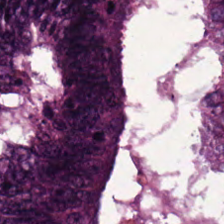224×224 px patch; hematoxylin and eosin.
Showing tumor epithelium.
